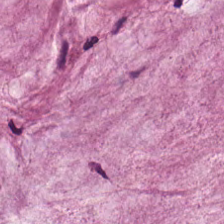224×224 px patch; hematoxylin and eosin; formalin-fixed paraffin-embedded section. Q: Identify the tissue.
A: It is extracellular mucin.
